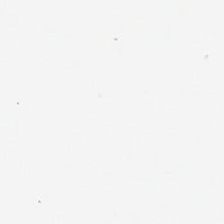H&E-stained tissue section.
The field content is background.
